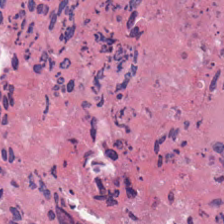H&E-stained tissue section showing cellular debris.
